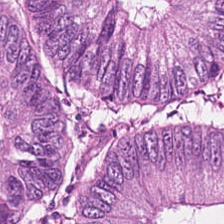20× equivalent magnification. H&E stain — The tissue is adenocarcinoma.
